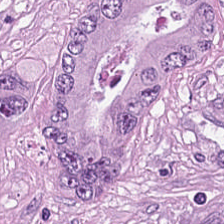H&E-stained tissue section. Finding → colorectal adenocarcinoma.
